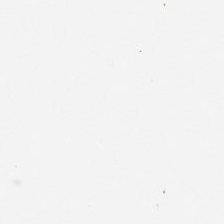Stain: H&E-stained tissue section.
Tile size: 224×224 px tile.
Field content: background (no tissue).
